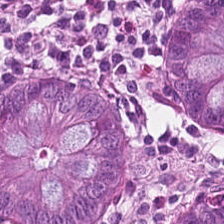Hematoxylin-and-eosin stained section.
{"tissue_type": "normal colonic mucosa"}
